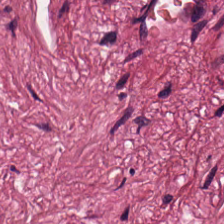H&E-stained tissue section.
This patch shows tumor-associated stroma.
